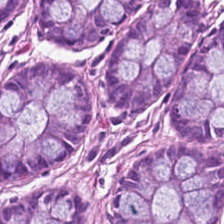Tissue class: normal colon mucosa.
